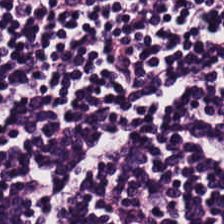Tissue class: lymphocytic infiltrate.
